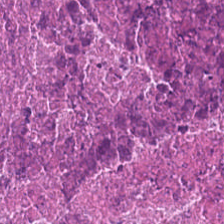H&E-stained tissue section. FFPE tissue section. Tissue type: cellular debris.
